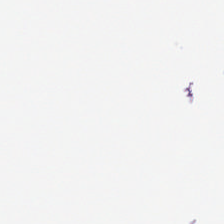H&E-stained tissue section. WSI patch — {"content": "empty background"}
